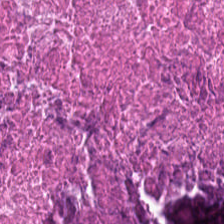Hematoxylin-and-eosin stained section · whole-slide-image patch — Q: What is shown in this field?
A: The field shows necrotic debris.
